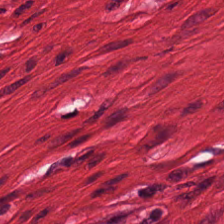Hematoxylin-and-eosin stained section — Predominant tissue: smooth muscle.
